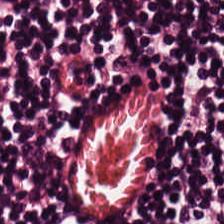H&E. 0.5 microns per pixel.
Classification — lymphocytic infiltrate.
